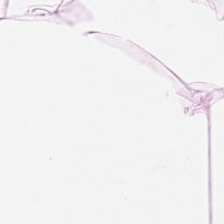H&E-stained section; the field shows adipose tissue.
